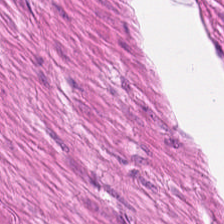Hematoxylin and eosin.
Tissue: smooth-muscle tissue.
